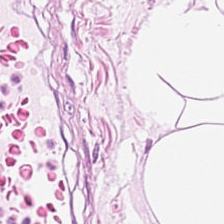Brightfield · H&E. Finding → adipocytes.
